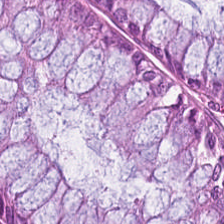H&E stain. This patch shows benign colonic mucosa.
